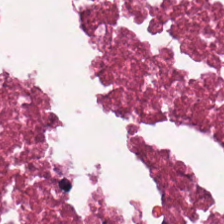Histology — cellular debris.
